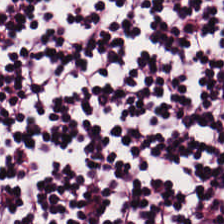H&E-stained tissue section · 224×224 px tile.
Q: What is shown here?
A: The field shows lymphocytic infiltrate.
